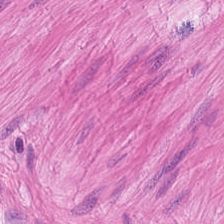224×224 px patch; hematoxylin-and-eosin stained section.
Q: What is shown here?
A: It is smooth-muscle tissue.
